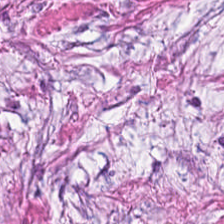H&E-stained tissue section. Brightfield microscopy. FFPE.
This patch shows tumor stroma.
